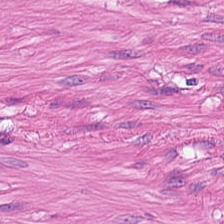H&E-stained tissue section. {"tissue_type": "muscularis"}
